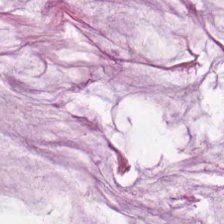Stain: H&E.
Tissue class: mucin.
